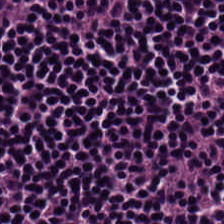H&E-stained tissue section. The tissue is lymphocytic infiltrate.
